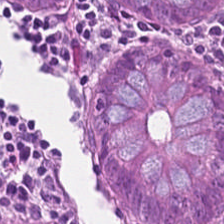Hematoxylin-and-eosin section: non-neoplastic colon mucosa.
